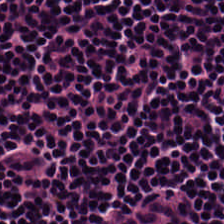The tissue is lymphocytes.
